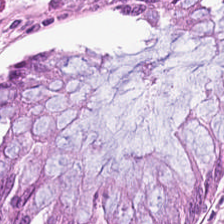H&E stain. Whole-slide-image patch. FFPE tissue section. Tissue = benign colonic mucosa.
